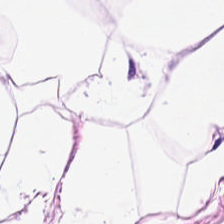Q: What does this patch show?
A: The field shows fat tissue.
